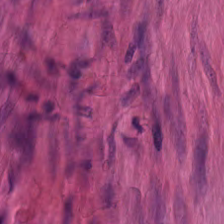Formalin-fixed paraffin-embedded section. Hematoxylin and eosin — Histology — smooth muscle.
